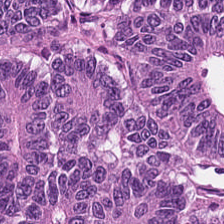Stain: H&E stain.
Tissue class: colorectal adenocarcinoma.
